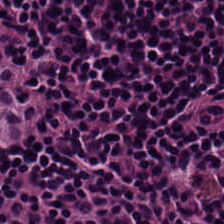Stain: hematoxylin and eosin.
Tissue type: lymphocytes.
